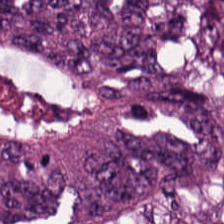Hematoxylin and eosin — This field is tumor epithelium.
